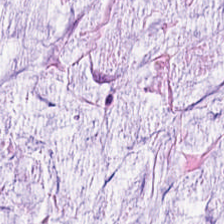H&E-stained tissue section — Classification: extracellular mucin.
